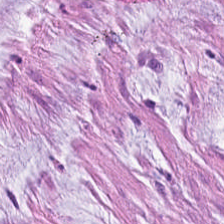Stain: hematoxylin-and-eosin stained section.
Acquisition: whole-slide-image patch.
Resolution: 0.5 µm per pixel.
Tissue type: mucus.
